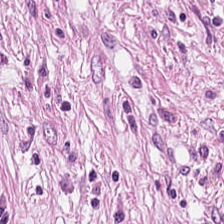Stain: H&E stain.
Resolution: 0.5 µm/px.
Tissue class: desmoplastic stroma.
